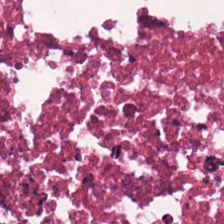Hematoxylin and eosin; WSI patch — Predominant tissue: necrotic debris.
